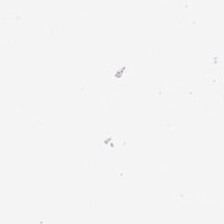H&E. 20× equivalent magnification. FFPE tissue section. Background.
